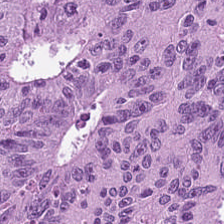Malignant epithelium.
